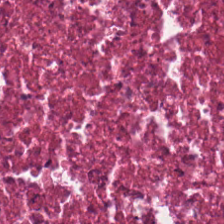FFPE tissue section · brightfield microscopy · hematoxylin and eosin. Histology → debris.
